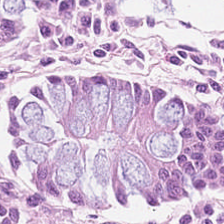WSI patch · H&E · 20× equivalent magnification.
This patch shows normal colon mucosa.
